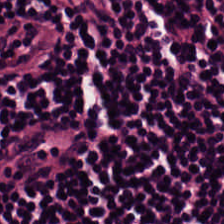{"tissue_type": "lymphoid infiltrate"}
